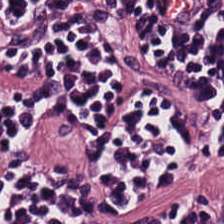Hematoxylin-and-eosin stained section — {"tissue_type": "lymphocytes"}
